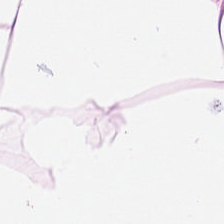H&E. {"tissue_type": "adipose tissue"}
